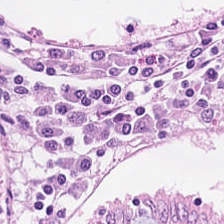This patch shows normal colonic mucosa.
